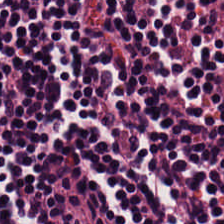FFPE; hematoxylin-and-eosin stained section. {"tissue_type": "lymphocytes"}
